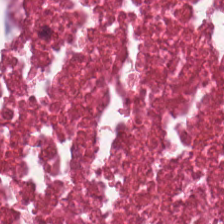Hematoxylin and eosin.
Tissue class: debris.
